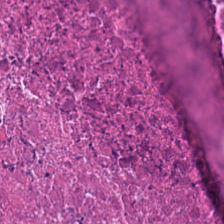Hematoxylin and eosin.
Q: What is shown in this field?
A: Debris.
